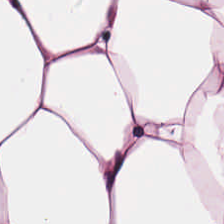Hematoxylin-and-eosin stained section · 0.5 microns per pixel — The classification is fat tissue.
